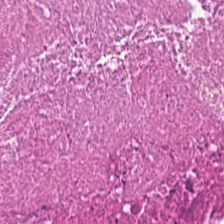H&E stain.
The predominant tissue is necrotic debris.
